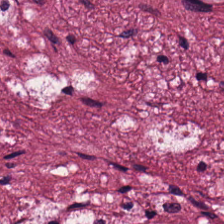Hematoxylin-and-eosin stained section. Tissue class — tumor-associated stroma.
